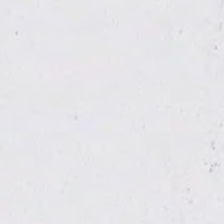Hematoxylin-and-eosin stained section.
This field is background (no tissue).
